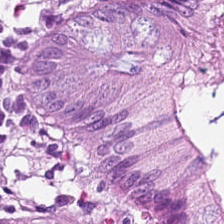Hematoxylin-and-eosin stained section — The predominant tissue is benign colonic mucosa.
